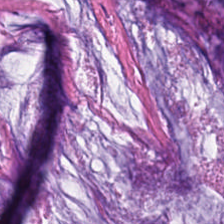H&E-stained tissue section. Showing extracellular mucin.
